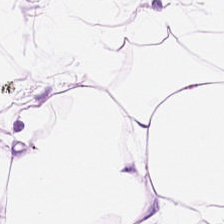H&E-stained tissue section.
Classification: adipocytes.
